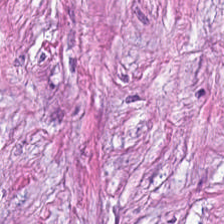The predominant tissue is tumor-associated stroma.
